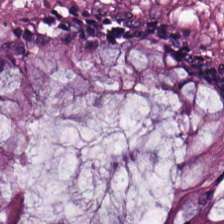Brightfield microscopy · H&E stain · 224×224 px tile. This field is normal colonic mucosa.
